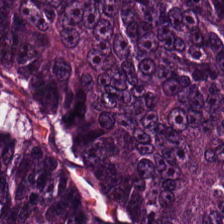This patch shows adenocarcinoma.
